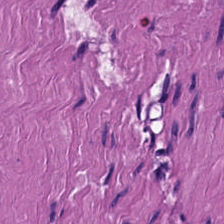Predominantly muscularis.
